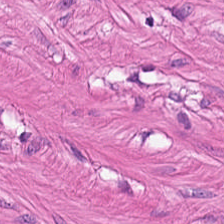Brightfield; H&E-stained tissue section.
Tissue class — muscularis.
